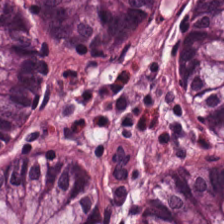Hematoxylin and eosin. Histology → normal colon mucosa.
